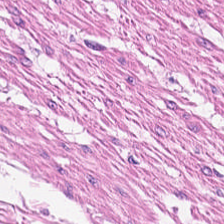0.5 microns per pixel. H&E stain — Q: What is the predominant tissue type?
A: This is muscularis.
